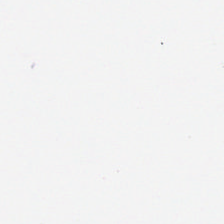H&E. Impression — no tissue.
